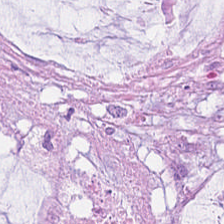Hematoxylin-and-eosin stained section. Classification: extracellular mucin.
